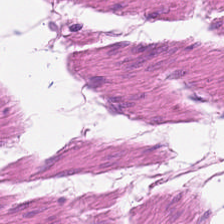WSI patch · H&E stain. Muscularis.
